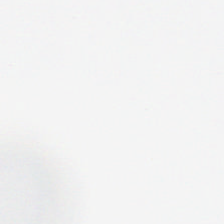Whole-slide-image patch. H&E-stained tissue section.
Content = background.
